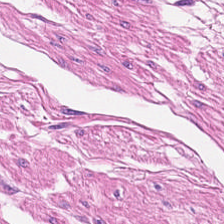H&E — Finding → smooth-muscle tissue.
